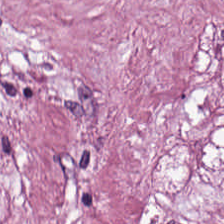Hematoxylin and eosin. The predominant tissue is tumor-associated stroma.
